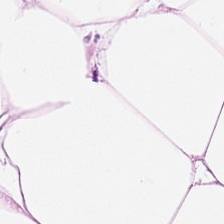FFPE tissue section · 20× equivalent magnification · H&E-stained tissue section — Q: What type of tissue is this?
A: Adipose tissue.
